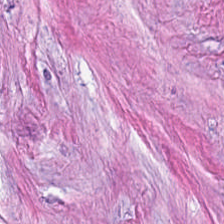H&E-stained tissue section.
Tissue type — tumor-associated stroma.
